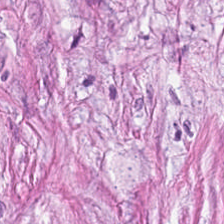0.5 µm per pixel. H&E.
Histology — tumor-associated stroma.
